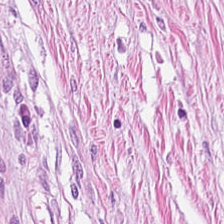Hematoxylin-and-eosin stained section — This field is desmoplastic stroma.
